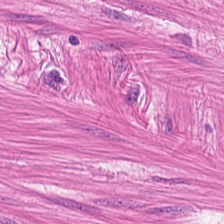Q: What tissue is shown?
A: It is muscularis.
